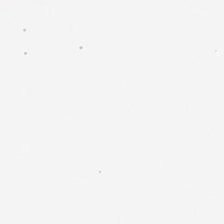H&E stain.
Empty field — empty background.
